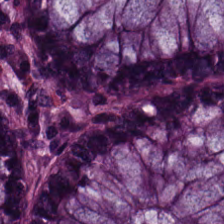0.5 µm per pixel; H&E; FFPE tissue section. Predominantly normal colonic mucosa.
